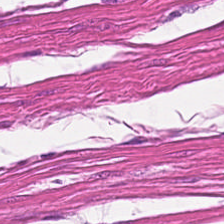H&E.
Q: What does this patch show?
A: This is muscularis.
